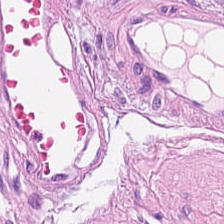H&E-stained tissue section — Q: What is shown here?
A: Smooth muscle.
